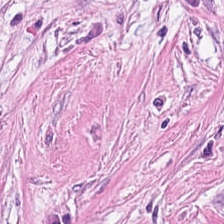0.5 microns per pixel; 224×224 px tile; H&E stain — This patch shows cancer-associated stroma.
